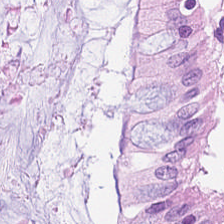224×224 px patch · H&E-stained tissue section · 20× equivalent magnification — Tissue: normal colonic mucosa.
